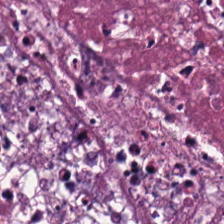Q: What type of tissue is this?
A: It is debris.
